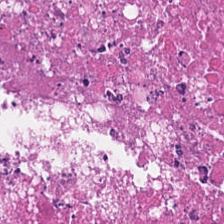{"tissue_type": "cellular debris"}
